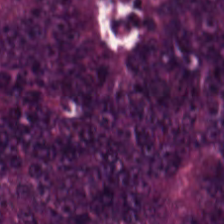Q: What tissue type is shown here?
A: This is adenocarcinoma.
